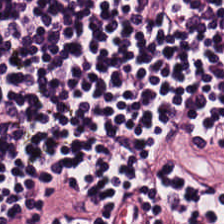H&E. {"tissue_type": "lymphocytes"}
